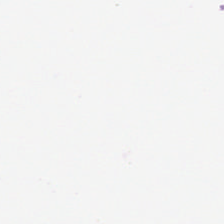20× equivalent magnification; H&E.
Q: Classify this patch.
A: It is empty background.
